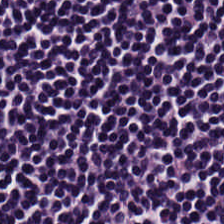{"tissue_type": "lymphocyte aggregate"}
